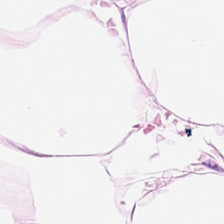Stain: H&E-stained tissue section.
Resolution: 20× equivalent magnification.
Tile size: 224×224 pixel tile.
Tissue class: adipose tissue.
